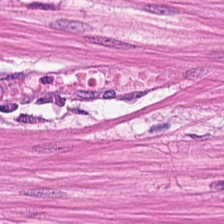Hematoxylin-and-eosin section: smooth muscle.
